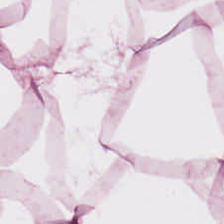H&E-stained tissue section.
{"tissue_type": "fat tissue"}
